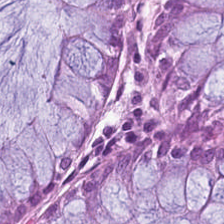This patch shows benign colonic mucosa.
